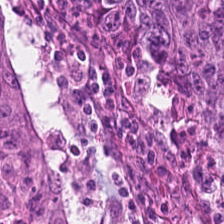Hematoxylin and eosin. 0.5 µm per pixel. 224×224 px tile.
Q: What is shown here?
A: The field shows adenocarcinoma.
